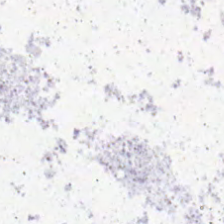H&E — Background.
